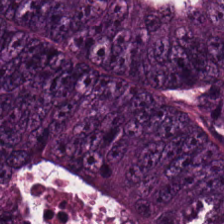Stain: H&E.
Tile size: 224×224 pixel tile.
Tissue type: tumor epithelium.
